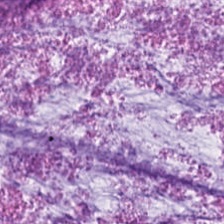Hematoxylin-and-eosin stained section — Showing extracellular mucin.
